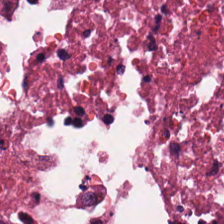H&E — This patch shows cellular debris.
